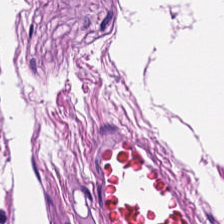H&E · 224×224 px tile · 0.5 µm per pixel — Q: What is shown here?
A: Smooth muscle.
